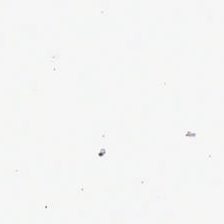H&E-stained tissue section; 224×224 pixel tile; brightfield microscopy.
Field content — background.
